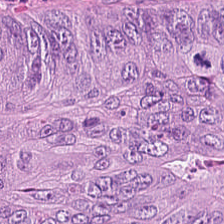0.5 µm/px. 224×224 px tile. Hematoxylin and eosin.
Q: What is shown in this field?
A: Tumor epithelium.
